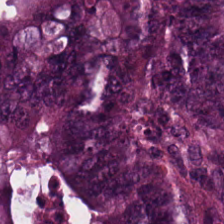Hematoxylin and eosin — The tissue is colorectal adenocarcinoma.
